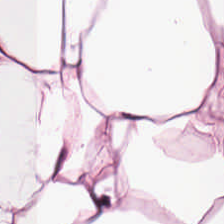H&E-stained tissue section; 224×224 px patch; 0.5 µm/px.
Showing fat tissue.
